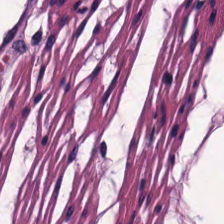224×224 pixel tile · hematoxylin-and-eosin stained section — The classification is muscularis.
